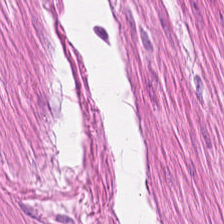H&E stain.
This patch shows smooth muscle.
